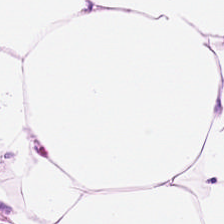Q: What type of tissue is this?
A: This is adipose.
